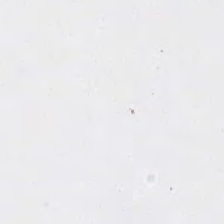The content is no tissue.
